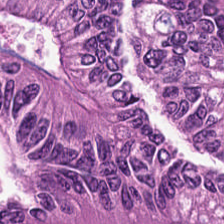Hematoxylin-and-eosin stained section · FFPE · WSI patch.
The tissue here is colorectal adenocarcinoma.
